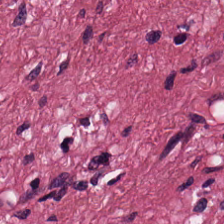Hematoxylin and eosin.
Histology → cancer-associated stroma.
